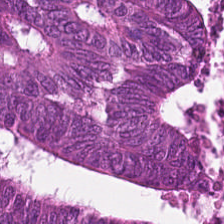H&E.
Q: Classify this patch.
A: The field shows tumor epithelium.
